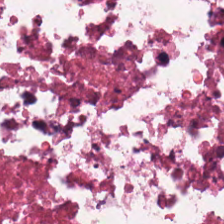Q: What tissue type is shown here?
A: Debris.
